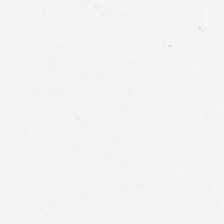Stain: hematoxylin-and-eosin stained section.
Classification: empty background.
